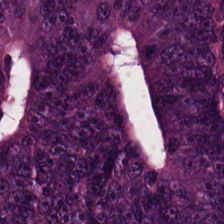Hematoxylin-and-eosin stained section.
Q: What does this patch show?
A: It is colorectal adenocarcinoma.
